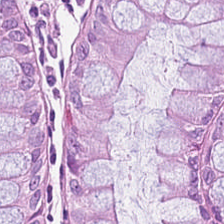H&E-stained section; the field shows benign colonic mucosa.
